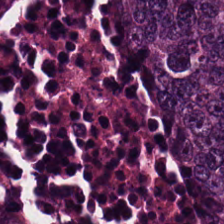Hematoxylin and eosin — This field is malignant epithelium.
